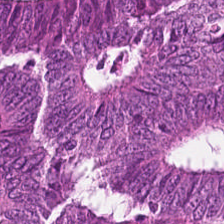H&E; 20× equivalent magnification. {"tissue_type": "adenocarcinoma"}
